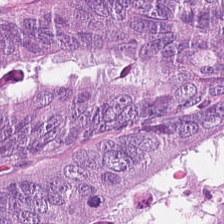H&E stain. The tissue here is colorectal adenocarcinoma.
